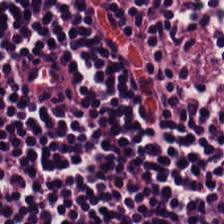Brightfield · hematoxylin and eosin — Classification = lymphocytes.
